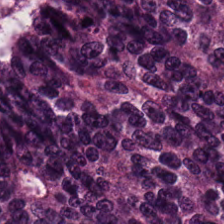Stain: hematoxylin and eosin.
Classification: adenocarcinoma.
